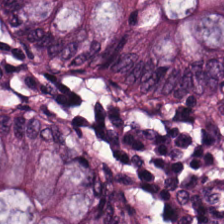Hematoxylin-and-eosin stained section. Q: Classify this patch.
A: This is normal colon mucosa.
